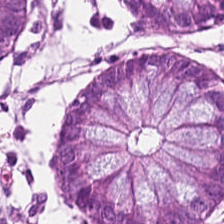H&E. Q: What is shown here?
A: It is benign colonic mucosa.
